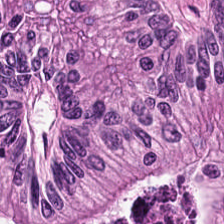H&E. Histology → tumor epithelium.
